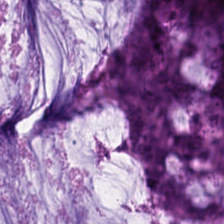Whole-slide-image patch. H&E-stained tissue section.
This field is mucus.
